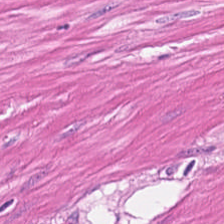WSI patch; H&E-stained tissue section. Showing smooth-muscle tissue.
